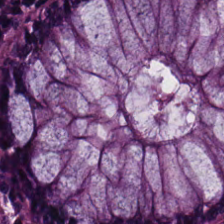Hematoxylin and eosin. Non-neoplastic colon mucosa.
